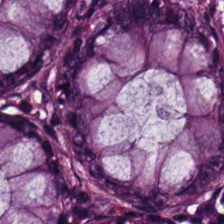Classification: normal colon mucosa.
